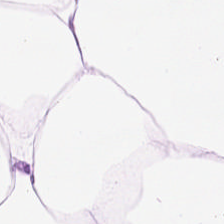H&E patch showing fat tissue.
